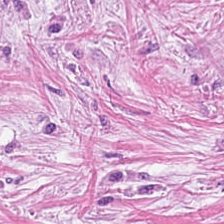224×224 px patch; hematoxylin and eosin. Predominantly desmoplastic stroma.
